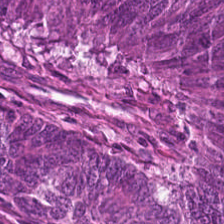Stain: hematoxylin and eosin.
Classification: colorectal adenocarcinoma.
